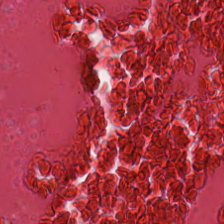H&E-stained section; the field shows necrotic debris.
